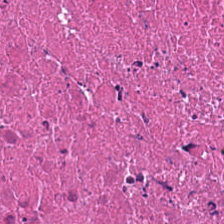Hematoxylin-and-eosin section: debris.
